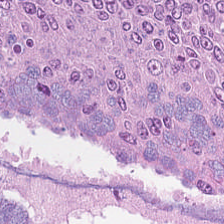The tissue is malignant epithelium.
